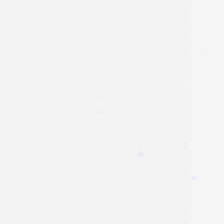Finding — background (no tissue).
